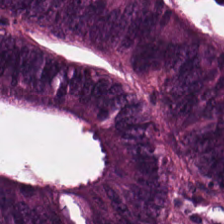Formalin-fixed paraffin-embedded section. H&E — Tissue class: malignant epithelium.
